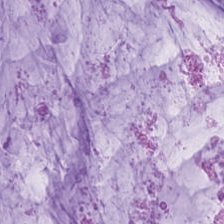H&E stain. Classification: mucus.
